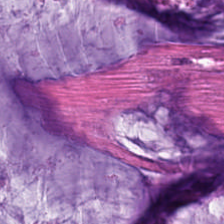Hematoxylin-and-eosin stained section. Tissue: mucin.
